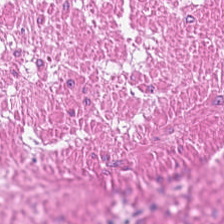The predominant tissue is muscularis.
